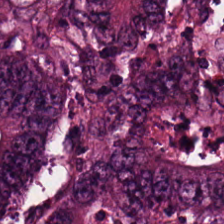Hematoxylin and eosin.
Tissue class: adenocarcinoma.
